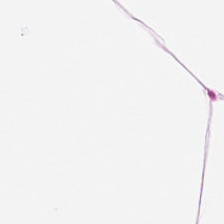Stain: hematoxylin and eosin.
Acquisition: brightfield.
Resolution: 0.5 microns per pixel.
Tissue type: adipocytes.
